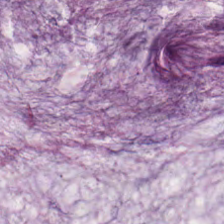FFPE · WSI patch · H&E — The predominant tissue is mucus.
